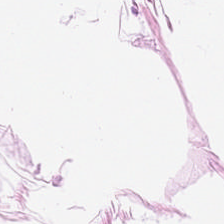Stain: hematoxylin and eosin.
Acquisition: brightfield microscopy.
Preparation: formalin-fixed paraffin-embedded section.
Classification: adipose.
